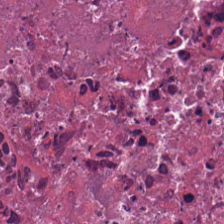224×224 px patch; H&E-stained tissue section; 0.5 µm/px — Necrotic debris.
